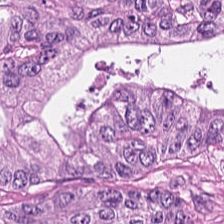Hematoxylin and eosin. 20× equivalent magnification. FFPE — Q: What is the predominant tissue type?
A: The field shows malignant epithelium.
